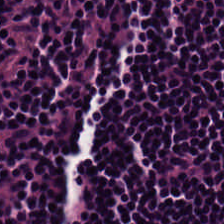Hematoxylin-and-eosin stained section · 0.5 µm per pixel.
The predominant tissue is lymphocytic infiltrate.
